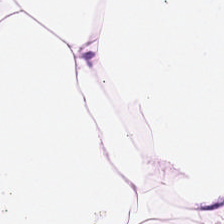WSI patch · FFPE tissue section · hematoxylin-and-eosin stained section. This field is fat tissue.
